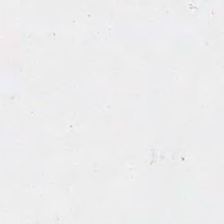H&E-stained tissue section.
Empty field — background.
